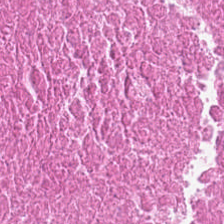H&E stain — {"tissue_type": "debris"}
